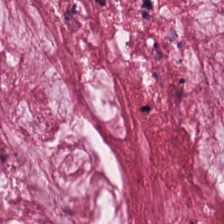Q: What is shown in this field?
A: The field shows extracellular mucin.
